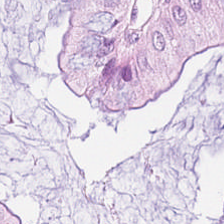Stain: H&E stain.
Tissue: normal colon mucosa.
